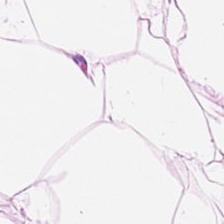H&E. WSI patch. 20× equivalent magnification. Q: What tissue type is shown here?
A: The field shows adipose.
